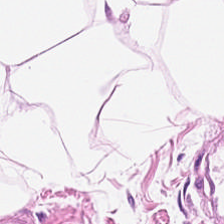H&E-stained tissue section. {"tissue_type": "adipose tissue"}
